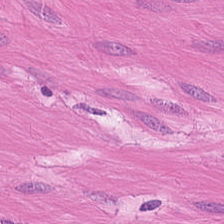Impression — smooth muscle.
